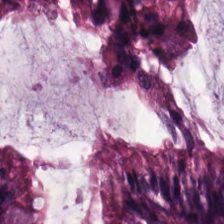Stain: H&E-stained tissue section.
Acquisition: brightfield microscopy.
Tissue type: normal colon mucosa.
